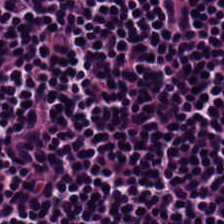H&E; 224×224 px patch.
This patch shows lymphocytes.
